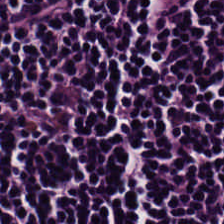H&E-stained tissue section showing lymphocyte aggregate.
